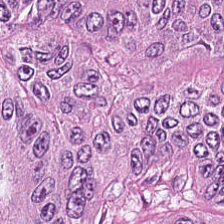FFPE tissue section · hematoxylin and eosin · 224×224 px tile.
Impression — malignant epithelium.
